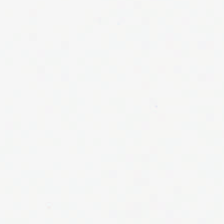0.5 microns per pixel · formalin-fixed paraffin-embedded section · hematoxylin-and-eosin stained section. Content: background.
